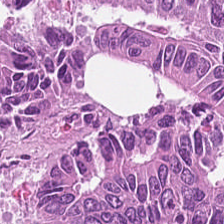H&E. Brightfield microscopy. Tissue — malignant epithelium.
